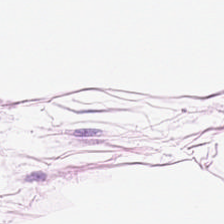H&E. FFPE.
Showing adipocytes.
